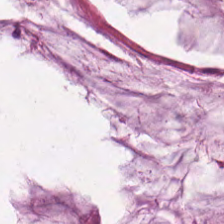Finding → mucus.
